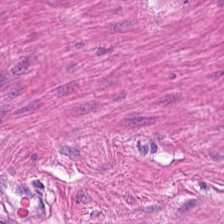H&E-stained tissue section — Q: Identify the tissue.
A: The field shows smooth muscle.
